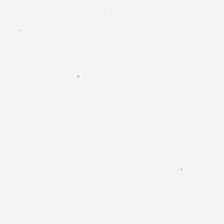The field content is background (no tissue).
